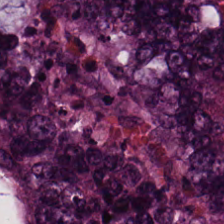Hematoxylin-and-eosin stained section.
Finding → colorectal adenocarcinoma.
